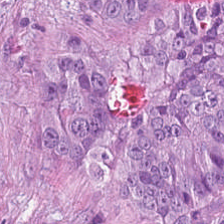Hematoxylin-and-eosin stained section. FFPE — Tissue type — adenocarcinoma.
